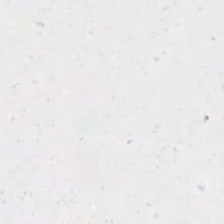H&E-stained tissue section; FFPE. Classification — background.
